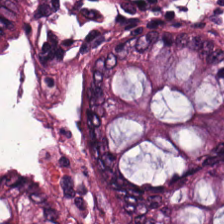Histology — benign colonic mucosa.
